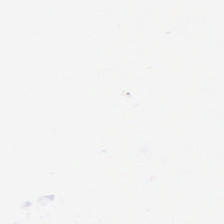Q: What is shown in this field?
A: No tissue.
